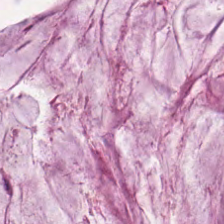Stain: H&E.
Tissue type: mucus.
